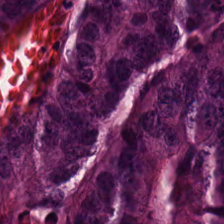H&E · FFPE. {"tissue_type": "malignant epithelium"}
